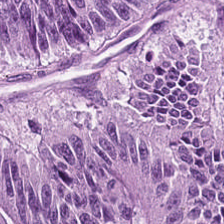H&E-stained tissue section. Tissue type = malignant epithelium.
